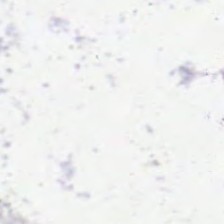H&E.
Impression — background.
